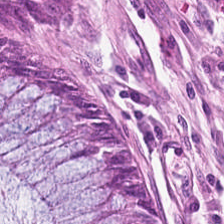H&E.
The predominant tissue is normal colon mucosa.
